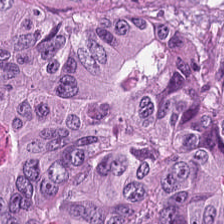Hematoxylin-and-eosin stained section — This patch shows colorectal adenocarcinoma.
